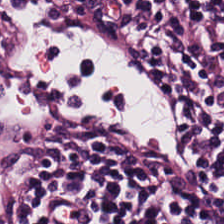H&E stain.
Q: What tissue type is shown here?
A: This is lymphocytes.
